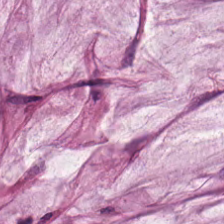Whole-slide-image patch; H&E-stained tissue section. Q: What type of tissue is this?
A: This is mucus.
